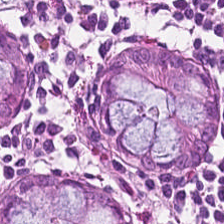Histology — benign colonic mucosa.
